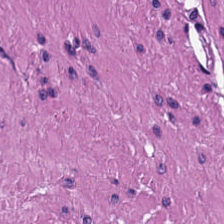Hematoxylin and eosin — Histology — smooth-muscle tissue.
